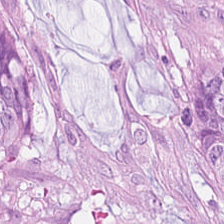This patch shows tumor epithelium.
